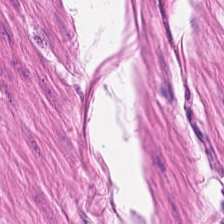Hematoxylin-and-eosin stained section.
This field is smooth-muscle tissue.
